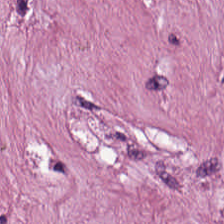Tissue: desmoplastic stroma.
